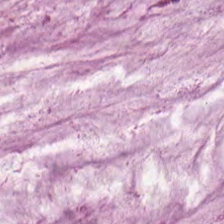224×224 px tile. H&E-stained tissue section. Tissue class = mucus.
